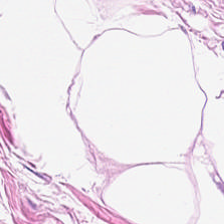H&E-stained tissue section. Formalin-fixed paraffin-embedded section — This field is adipose.
